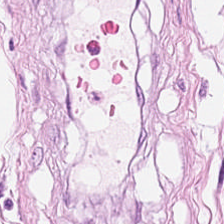FFPE · H&E. The predominant tissue is adipose.
